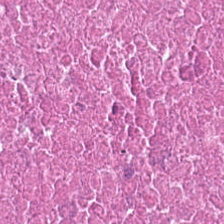Classification: necrotic debris.
